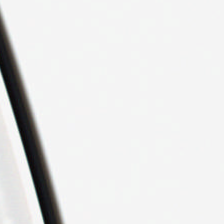Hematoxylin and eosin — Content: background (no tissue).
